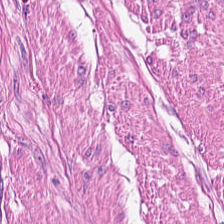Stain: hematoxylin-and-eosin stained section.
Tissue type: smooth-muscle tissue.
